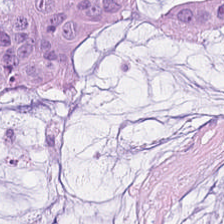The predominant tissue is extracellular mucin.
